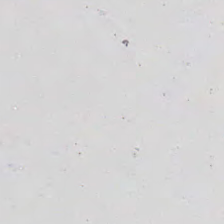H&E-stained tissue section. 224×224 px patch. WSI patch — Classification = background (no tissue).
